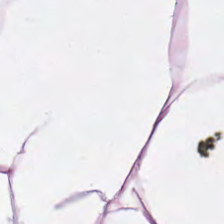The tissue type is fat tissue.
